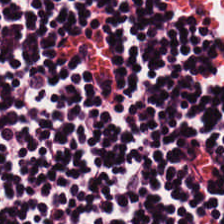{"tissue_type": "lymphocyte aggregate"}
